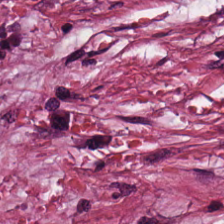FFPE. Hematoxylin and eosin. WSI patch.
Showing desmoplastic stroma.
